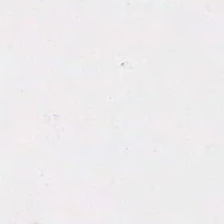Impression — background (no tissue).
